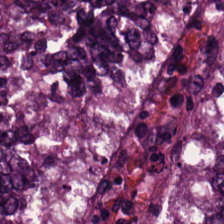H&E stain · 224×224 pixel tile — The classification is colorectal adenocarcinoma epithelium.
